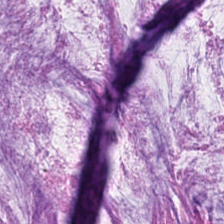This field is extracellular mucin.
